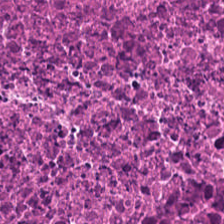H&E-stained tissue section.
This field is necrotic debris.
